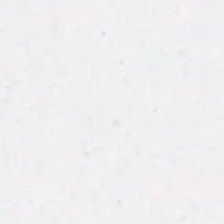Hematoxylin-and-eosin stained section · 0.5 µm per pixel. {"content": "background (no tissue)"}
